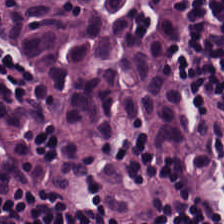Hematoxylin and eosin. Whole-slide-image patch — Predominantly lymphocytes.
